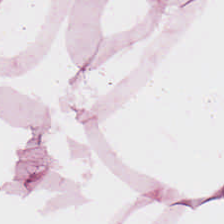H&E stain. WSI patch.
Impression — adipocytes.
